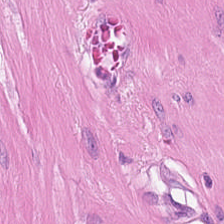Classification — smooth-muscle tissue.
